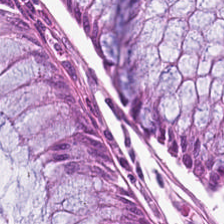{"tissue_type": "non-neoplastic colon mucosa"}
